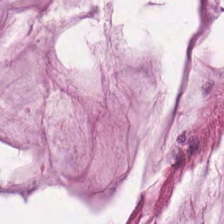224×224 px patch. 0.5 microns per pixel. H&E stain.
Q: What tissue type is shown here?
A: This is mucus.
